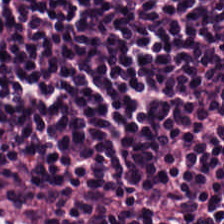H&E-stained tissue section. FFPE tissue section. 20× equivalent magnification. Finding — lymphoid infiltrate.
